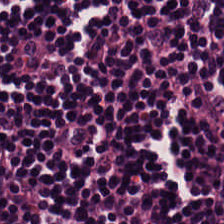0.5 µm per pixel; H&E. The predominant tissue is lymphoid infiltrate.
